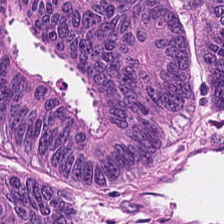Stain: H&E-stained tissue section.
Predominant tissue: colorectal adenocarcinoma.
